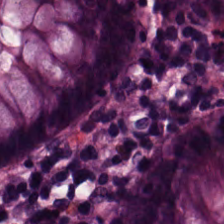Hematoxylin and eosin; 224×224 pixel tile — Q: What is shown in this field?
A: This is benign colonic mucosa.
